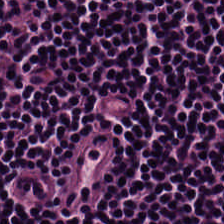The tissue here is lymphoid infiltrate.
